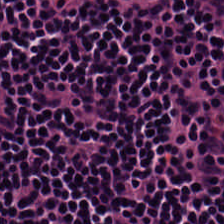224×224 pixel tile · H&E-stained tissue section · WSI patch — Showing lymphocyte aggregate.
